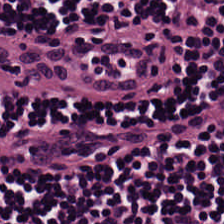224×224 pixel tile; H&E-stained tissue section.
The tissue class is lymphocytic infiltrate.
